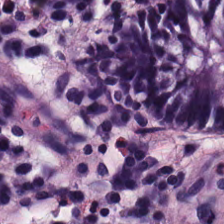Brightfield. 224×224 px tile. H&E-stained tissue section. The tissue here is normal colon mucosa.
